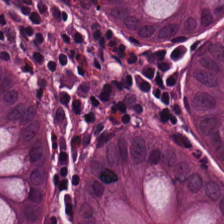The tissue type is normal colonic mucosa.
